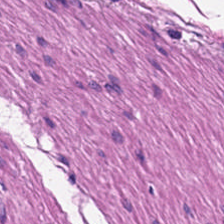Brightfield. H&E-stained tissue section. FFPE.
{"tissue_type": "smooth-muscle tissue"}
